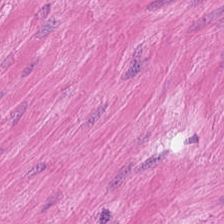H&E stain. The predominant tissue is muscularis.
